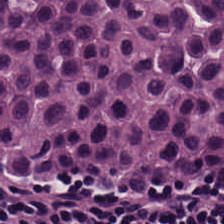This patch shows lymphocyte aggregate.
